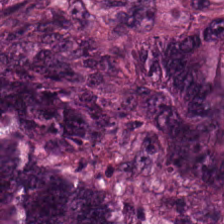Tissue class: tumor epithelium.
